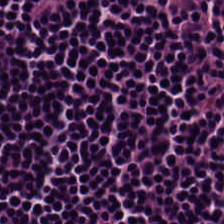H&E — Predominant tissue — lymphocytic infiltrate.
